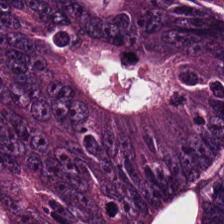Stain: H&E.
Tile size: 224×224 px tile.
Acquisition: whole-slide-image patch.
Classification: colorectal adenocarcinoma.
